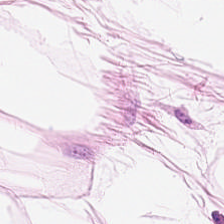WSI patch; hematoxylin and eosin. The classification is fat tissue.
